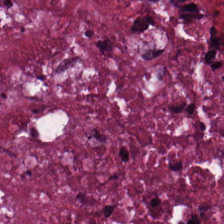H&E stain.
Predominantly cellular debris.
